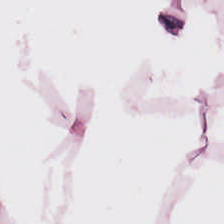224×224 px patch. H&E stain.
Fat tissue.
